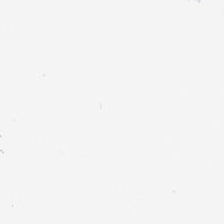Hematoxylin-and-eosin stained section.
This field is background (no tissue).
